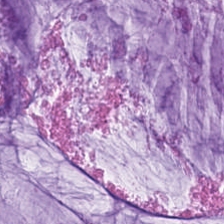Finding — mucus.
